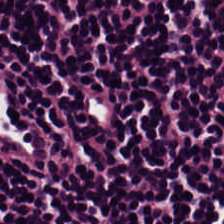H&E-stained tissue section.
Lymphocytic infiltrate.
